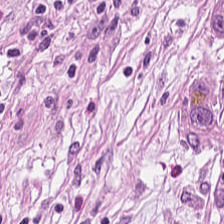H&E — cancer-associated stroma.
